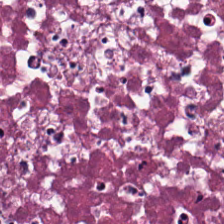H&E stain · 0.5 µm per pixel · 224×224 pixel tile — Tissue type — debris.
